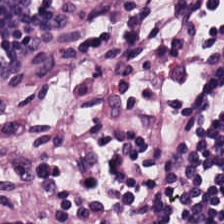H&E stain — This field is lymphoid infiltrate.
